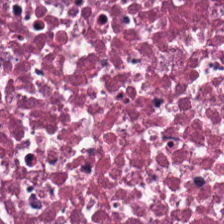Whole-slide-image patch. H&E-stained tissue section. FFPE — Predominant tissue: necrotic debris.
